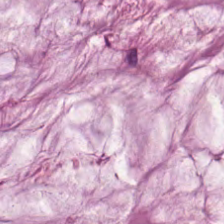Stain: H&E-stained tissue section.
Predominant tissue: extracellular mucin.
